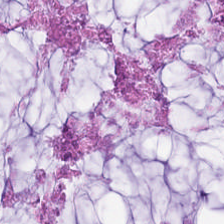Q: What type of tissue is this?
A: Extracellular mucin.
